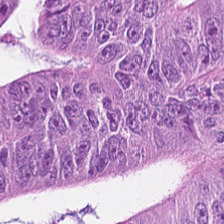Impression — malignant epithelium.
